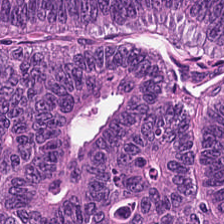FFPE tissue section. 224×224 px tile. H&E. The predominant tissue is tumor epithelium.
